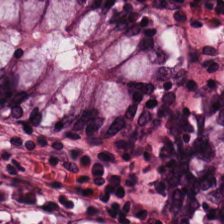Stain: hematoxylin and eosin.
Preparation: formalin-fixed paraffin-embedded section.
Predominant tissue: normal colonic mucosa.
